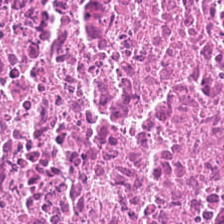H&E-stained tissue section. The tissue class is debris.
